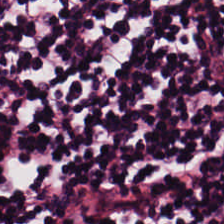Tissue = lymphocyte aggregate.
